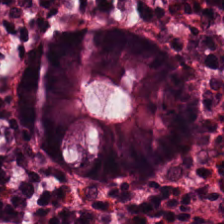H&E stain.
The tissue type is normal colon mucosa.
